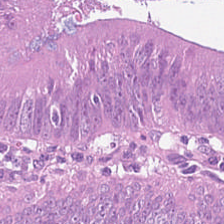Stain: H&E.
Tile size: 224×224 pixel tile.
Resolution: 20× equivalent magnification.
Tissue type: colorectal adenocarcinoma.
